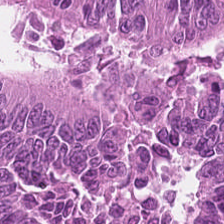20× equivalent magnification; H&E; FFPE tissue section.
Q: What does this patch show?
A: It is tumor epithelium.
